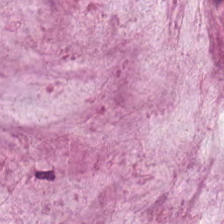Stain: hematoxylin and eosin.
Tile size: 224×224 px tile.
Resolution: 0.5 microns per pixel.
Tissue: extracellular mucin.
